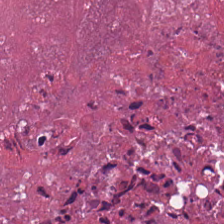Stain: hematoxylin-and-eosin stained section.
Tile size: 224×224 px patch.
Tissue: necrotic debris.
